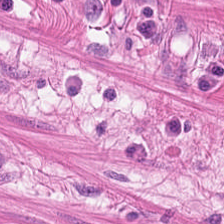{"tissue_type": "smooth-muscle tissue"}
